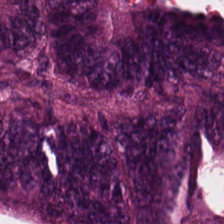Q: What is the predominant tissue type?
A: Colorectal adenocarcinoma epithelium.
